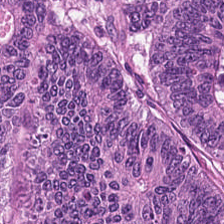Stain: hematoxylin and eosin.
Acquisition: brightfield.
Resolution: 0.5 µm/px.
Tissue type: tumor epithelium.
